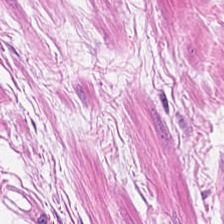H&E-stained tissue section · brightfield · 224×224 px patch.
Muscularis.
